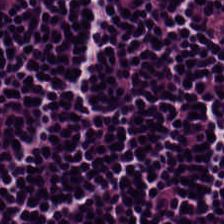H&E-stained tissue section. WSI patch. Q: What is the predominant tissue type?
A: It is lymphocytes.
